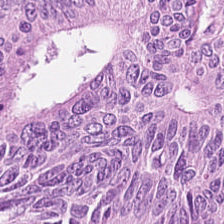Q: What tissue is shown?
A: Malignant epithelium.
